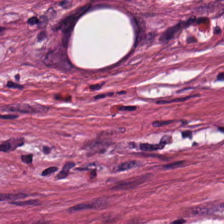224×224 pixel tile · hematoxylin and eosin.
This field is tumor-associated stroma.
